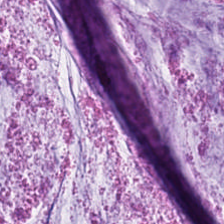Hematoxylin-and-eosin stained section — Classification: mucin.
